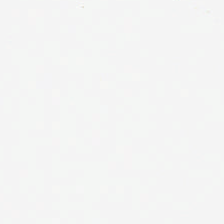Hematoxylin and eosin. Content — empty background.
